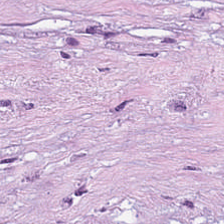Stain: hematoxylin-and-eosin stained section.
Tissue type: tumor-associated stroma.
